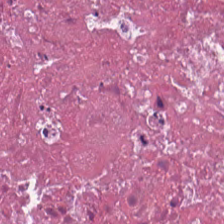Stain: H&E stain.
Preparation: formalin-fixed paraffin-embedded section.
Tissue class: cellular debris.
